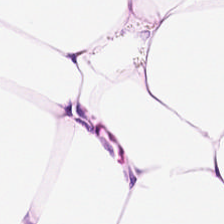Classification: fat tissue.
